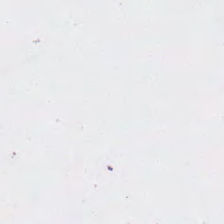Hematoxylin-and-eosin stained section — Impression — empty background.
